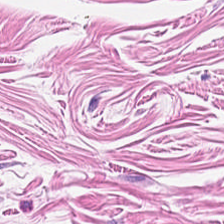H&E-stained tissue section. 224×224 pixel tile.
Predominant tissue = muscularis.
